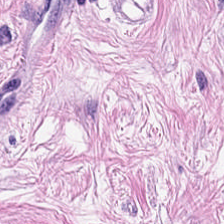Stain: hematoxylin and eosin.
Tissue: tumor-associated stroma.
